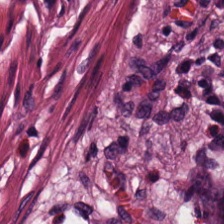H&E stain. 224×224 px tile — Benign colonic mucosa.
